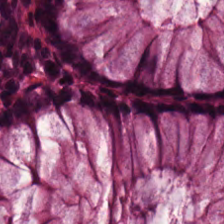224×224 pixel tile. 20× equivalent magnification. H&E-stained tissue section — Q: What is shown in this field?
A: The field shows benign colonic mucosa.
